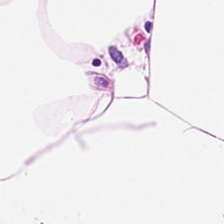H&E stain.
Predominantly fat tissue.
